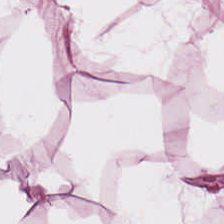Showing adipose tissue.
